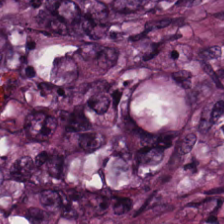H&E-stained tissue section. 0.5 µm per pixel — This patch shows adenocarcinoma.
